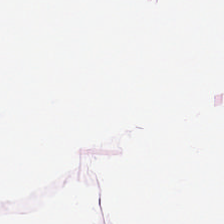Stain: hematoxylin and eosin.
Tissue class: adipose tissue.
